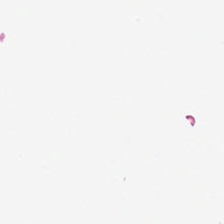Hematoxylin-and-eosin stained section — Q: Classify this patch.
A: The field shows background (no tissue).
